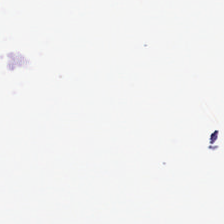Background — no tissue in this field.
